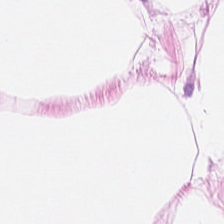Stain: H&E stain.
Resolution: 0.5 microns per pixel.
Classification: adipose tissue.
